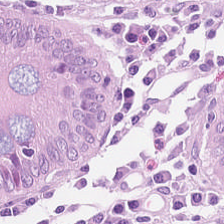Finding — normal colonic mucosa.
